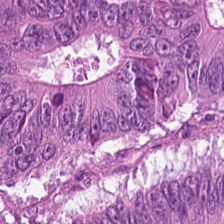Hematoxylin-and-eosin stained section.
The tissue is colorectal adenocarcinoma.
